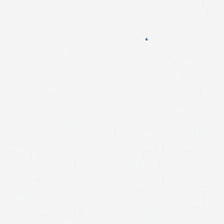Q: What is shown here?
A: Background (no tissue).
